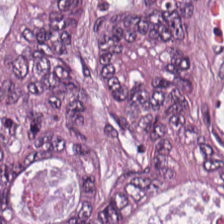Tissue type: malignant epithelium.
